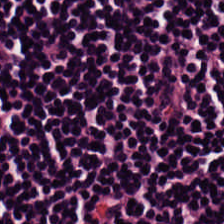H&E stain · whole-slide-image patch.
Showing lymphocyte aggregate.
